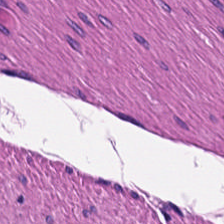The tissue here is smooth muscle.
